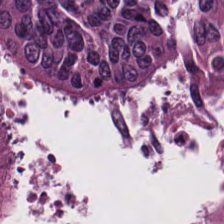Finding → adenocarcinoma.
